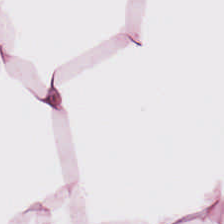H&E.
Q: What is shown here?
A: This is adipose.
